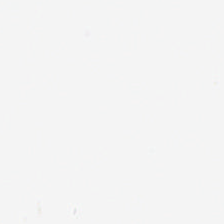H&E-stained tissue section. No tissue present; background only.
